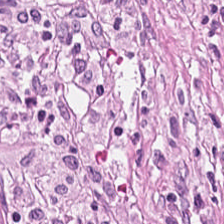Tissue = tumor stroma.
